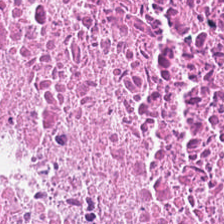H&E stain. Predominant tissue = debris.
